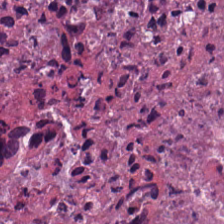Hematoxylin-and-eosin stained section.
Impression → necrotic debris.
